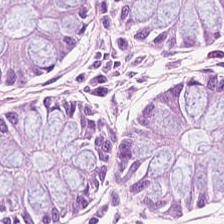Normal colon mucosa.
